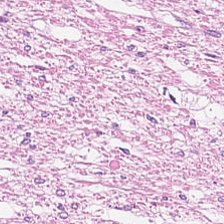Hematoxylin and eosin.
Q: What tissue type is shown here?
A: This is muscularis.
